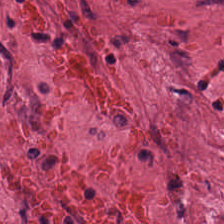H&E-stained tissue section.
Q: What type of tissue is this?
A: The field shows cancer-associated stroma.
